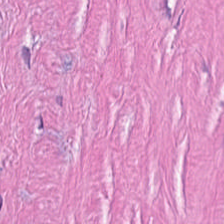Hematoxylin-and-eosin section: tumor stroma.
